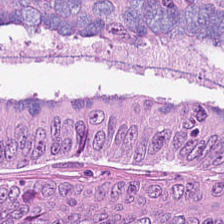Stain: hematoxylin and eosin.
Tissue class: tumor epithelium.
